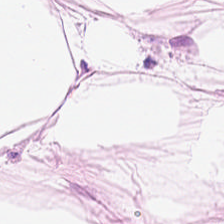Brightfield microscopy · 224×224 px tile · hematoxylin and eosin — Showing adipose.
